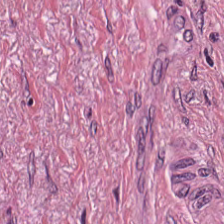H&E stain.
The predominant tissue is cancer-associated stroma.
